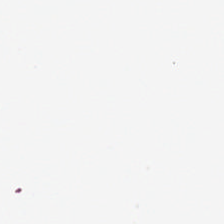H&E-stained tissue section. FFPE tissue section. Brightfield. Content — background.
